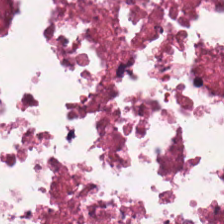Hematoxylin-and-eosin stained section — Tissue — debris.
